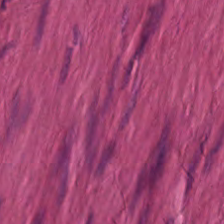Hematoxylin-and-eosin stained section. Tissue: muscularis.
